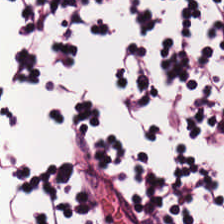Hematoxylin-and-eosin stained section — Showing lymphocyte aggregate.
